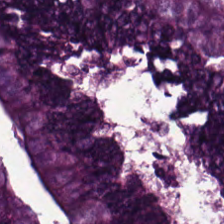Predominantly malignant epithelium.
